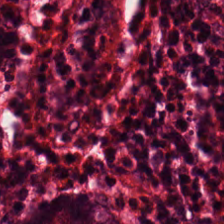Stain: H&E-stained tissue section.
Classification: normal colon mucosa.
